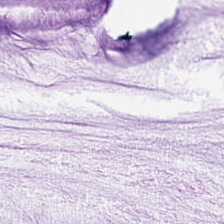Stain: H&E-stained tissue section.
Tile size: 224×224 px tile.
Tissue class: mucus.
